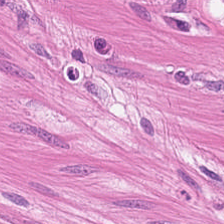Brightfield; H&E — Q: Identify the tissue.
A: It is muscularis.
